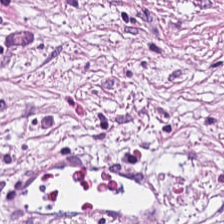Hematoxylin and eosin — This field is cancer-associated stroma.
